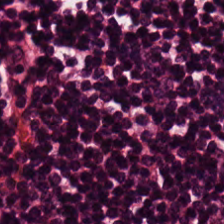H&E.
Histology — lymphocyte aggregate.
